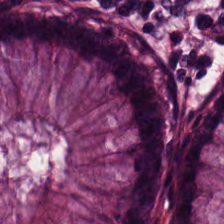H&E-stained tissue section showing normal colon mucosa.
